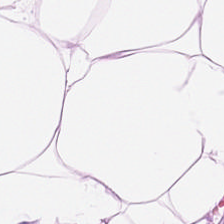H&E stain — Q: What tissue is shown?
A: This is fat tissue.
